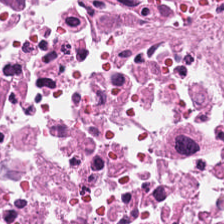WSI patch · H&E-stained tissue section. Showing debris.
